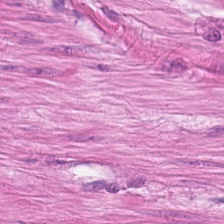Hematoxylin-and-eosin stained section · 0.5 µm/px · 224×224 pixel tile — Smooth-muscle tissue.
